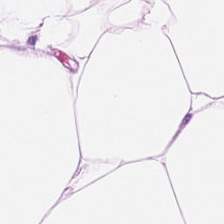20× equivalent magnification; H&E — {"tissue_type": "fat tissue"}
